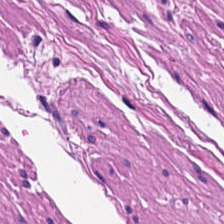224×224 pixel tile · formalin-fixed paraffin-embedded section · hematoxylin and eosin — Impression — smooth-muscle tissue.
